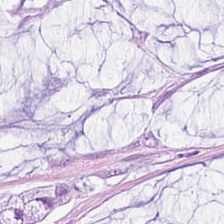Stain: hematoxylin-and-eosin stained section.
Preparation: FFPE tissue section.
Resolution: 0.5 microns per pixel.
Classification: mucus.
